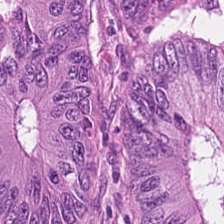Hematoxylin-and-eosin stained section — Showing malignant epithelium.
